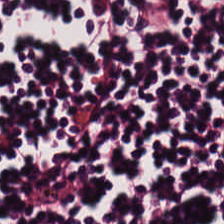Histology → lymphocytes.
